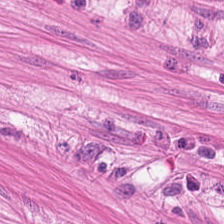The tissue is smooth muscle.
